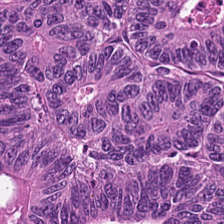The classification is malignant epithelium.
